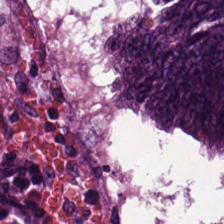FFPE. H&E stain. 224×224 px tile.
{"tissue_type": "adenocarcinoma"}
